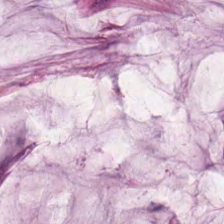Finding — mucin.
